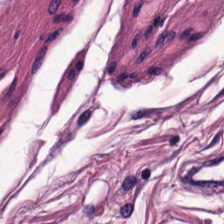H&E patch showing smooth muscle.
